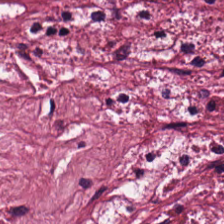{"tissue_type": "tumor-associated stroma"}
